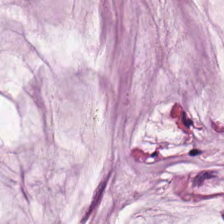224×224 px tile; hematoxylin and eosin.
Finding — mucus.
